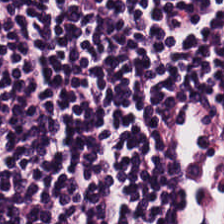H&E-stained tissue section. Showing lymphoid infiltrate.
